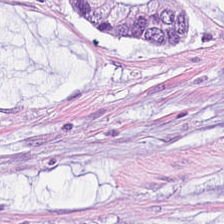Hematoxylin and eosin.
Mucin.
